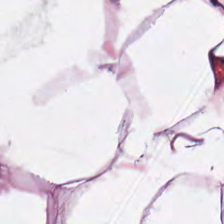Hematoxylin-and-eosin section: adipose tissue.
